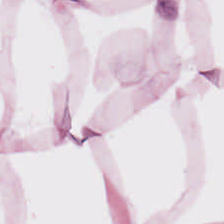Adipose tissue.
